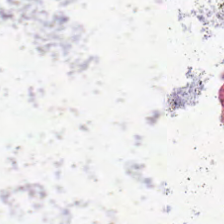Q: What does this patch show?
A: It is background (no tissue).
